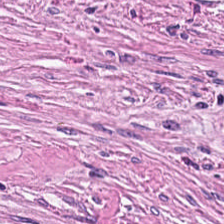H&E · FFPE tissue section · 224×224 px patch.
Cancer-associated stroma.
